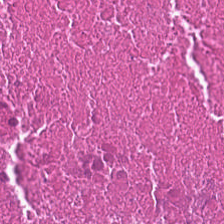The tissue type is necrotic debris.
